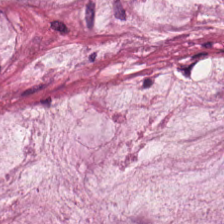Stain: hematoxylin-and-eosin stained section.
Tissue: mucus.
